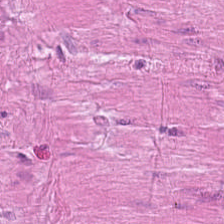H&E stain. Tissue = muscularis.
